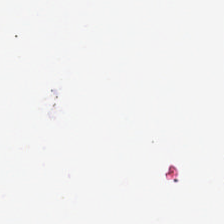Background — no tissue in this field.
